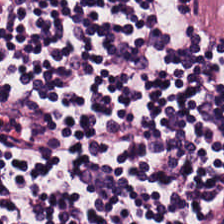20× equivalent magnification; hematoxylin and eosin.
Predominantly lymphoid infiltrate.
